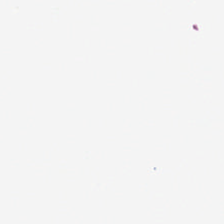Hematoxylin and eosin. Formalin-fixed paraffin-embedded section. This field is background (no tissue).
